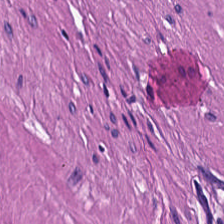Tissue type = muscularis.
